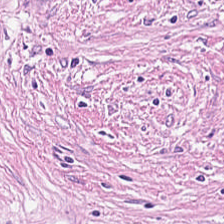224×224 px patch. H&E stain.
{"tissue_type": "tumor stroma"}
